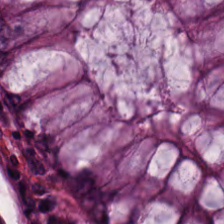Hematoxylin and eosin.
Predominantly benign colonic mucosa.
